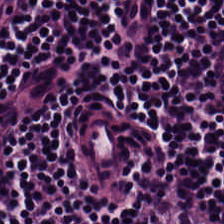FFPE; H&E — Q: Identify the tissue.
A: This is lymphocytic infiltrate.
